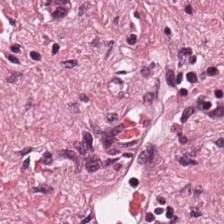H&E stain.
The classification is cancer-associated stroma.
